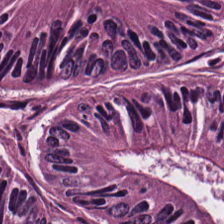Hematoxylin-and-eosin stained section. Showing colorectal adenocarcinoma.
